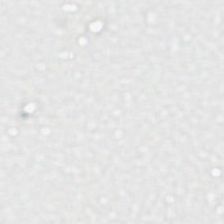Histology → empty background.
